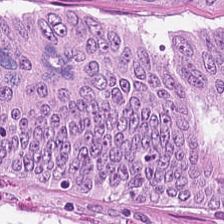Stain: H&E.
Tile size: 224×224 px patch.
Acquisition: brightfield microscopy.
Tissue: tumor epithelium.
